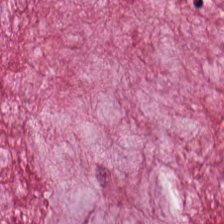H&E stain — Tissue class: mucin.
